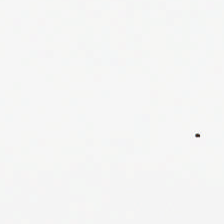H&E stain — Q: Classify this patch.
A: The field shows background (no tissue).
